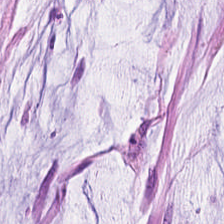Tissue — extracellular mucin.
